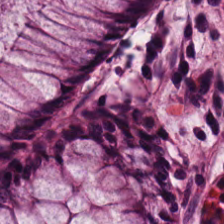Whole-slide-image patch. H&E — Tissue = benign colonic mucosa.
